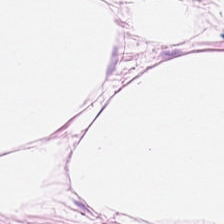H&E.
Finding → fat tissue.
